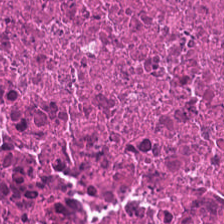H&E — cellular debris.
